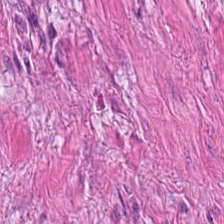Stain: H&E stain.
Tissue class: smooth muscle.
